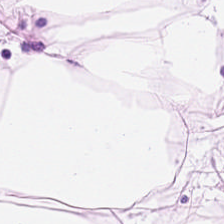Hematoxylin-and-eosin stained section — Classification = adipocytes.
